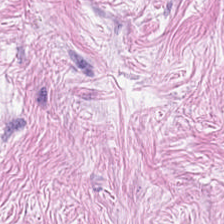Stain: hematoxylin and eosin.
Tissue: desmoplastic stroma.
